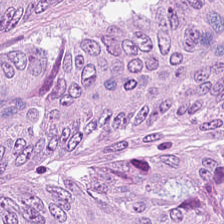H&E. Q: What type of tissue is this?
A: This is colorectal adenocarcinoma.
